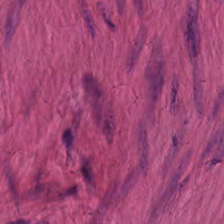Stain: hematoxylin-and-eosin stained section.
Acquisition: brightfield microscopy.
Predominant tissue: smooth-muscle tissue.
